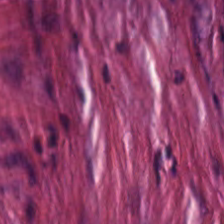H&E stain. Tissue = tumor stroma.
